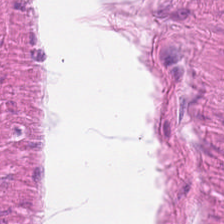224×224 pixel tile · hematoxylin and eosin · 20× equivalent magnification.
Muscularis.
